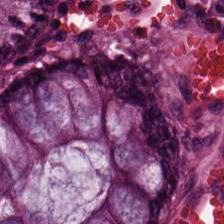H&E-stained tissue section. Tissue class: non-neoplastic colon mucosa.
